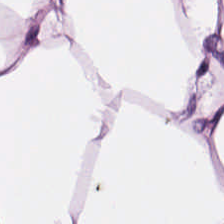Stain: H&E.
Tissue: adipose tissue.
